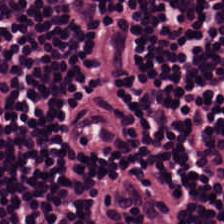Hematoxylin-and-eosin stained section. Histology — lymphocyte aggregate.
